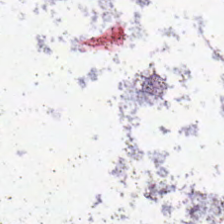Q: What is shown in this field?
A: The field shows background (no tissue).
